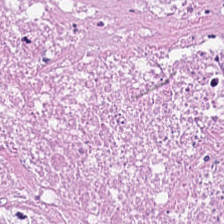Formalin-fixed paraffin-embedded section · H&E.
Q: Identify the tissue.
A: The field shows necrotic debris.
